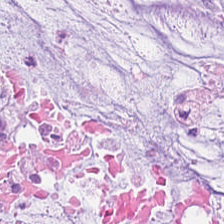H&E.
The predominant tissue is mucus.
